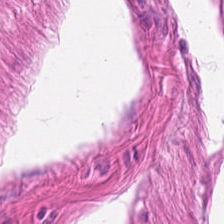Stain: hematoxylin-and-eosin stained section.
Tissue type: smooth-muscle tissue.
